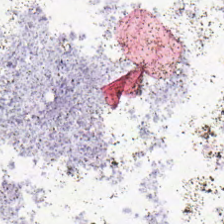H&E-stained tissue section. This patch shows empty background.
